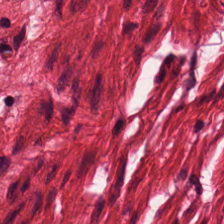Showing muscularis.
